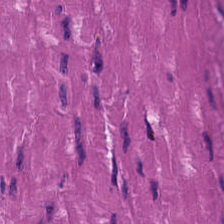H&E-stained section; the field shows smooth muscle.
